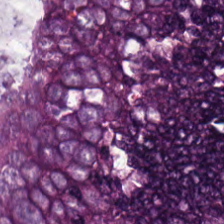Tissue class: tumor epithelium.
